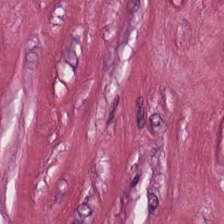H&E-stained tissue section; WSI patch — Q: Identify the tissue.
A: The field shows tumor-associated stroma.
